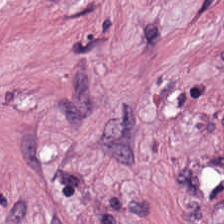Q: What does this patch show?
A: The field shows desmoplastic stroma.
